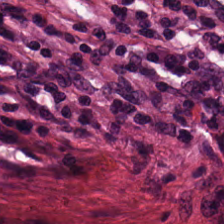Hematoxylin-and-eosin section: tumor-associated stroma.
